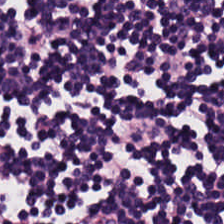H&E-stained tissue section; 0.5 µm/px.
Q: What tissue is shown?
A: Lymphocytes.
